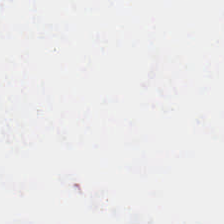Hematoxylin-and-eosin stained section. Content — background (no tissue).
